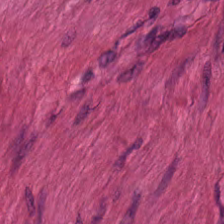H&E-stained tissue section. Predominantly muscularis.
